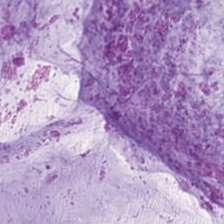0.5 microns per pixel · 224×224 px patch · hematoxylin and eosin. This field is extracellular mucin.
